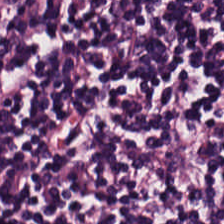H&E-stained tissue section. Classification = lymphocytes.
